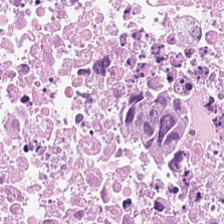H&E-stained tissue section showing debris.
